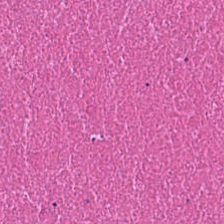H&E.
Impression — debris.
